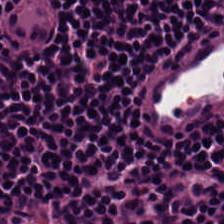Tissue class: lymphocytic infiltrate.
